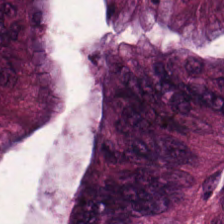0.5 microns per pixel. FFPE tissue section. H&E stain. Classification: colorectal adenocarcinoma epithelium.
